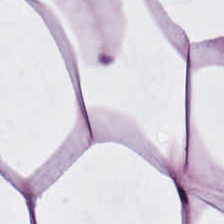Classification — adipose.
